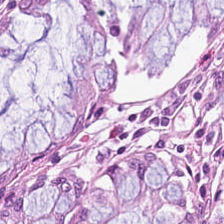FFPE; 0.5 µm/px; hematoxylin and eosin. Histology → non-neoplastic colon mucosa.
